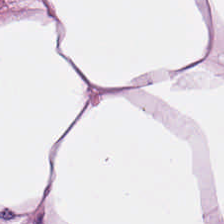Whole-slide-image patch · hematoxylin and eosin — The tissue type is adipose tissue.
